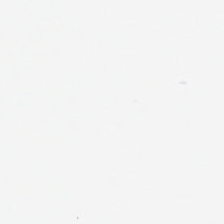Hematoxylin-and-eosin stained section — Histology — no tissue.
